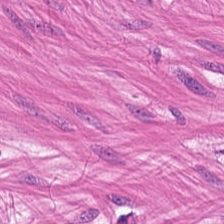H&E stain — Histology → muscularis.
